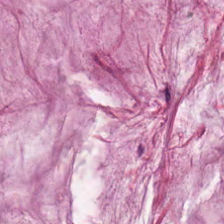0.5 microns per pixel; H&E-stained tissue section. This patch shows mucus.
